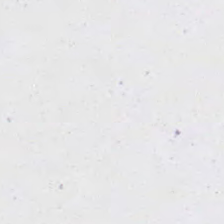FFPE tissue section. 0.5 µm per pixel. Hematoxylin and eosin — Empty field — background (no tissue).
